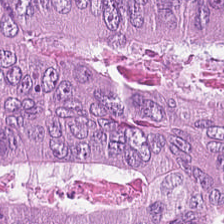Stain: H&E stain.
Tile size: 224×224 px patch.
Preparation: formalin-fixed paraffin-embedded section.
Classification: colorectal adenocarcinoma epithelium.
